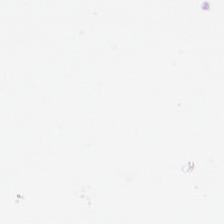Q: Classify this patch.
A: It is background (no tissue).
